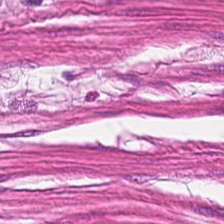Stain: H&E stain.
Tissue class: smooth muscle.
